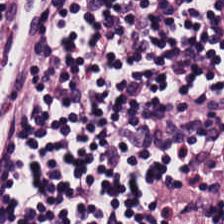H&E-stained tissue section.
The tissue here is lymphocytes.
